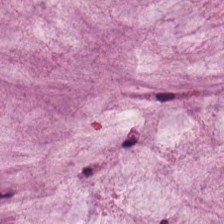Hematoxylin-and-eosin stained section; 0.5 microns per pixel; formalin-fixed paraffin-embedded section.
Classification: extracellular mucin.
